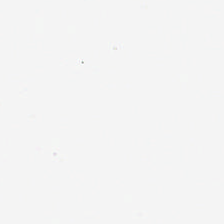Q: What does this patch show?
A: No tissue.
